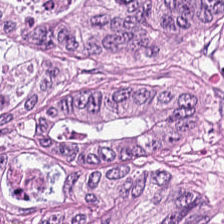The classification is malignant epithelium.
